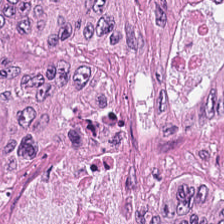Hematoxylin and eosin · FFPE tissue section — Q: Identify the tissue.
A: The field shows adenocarcinoma.
